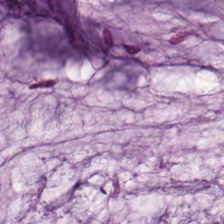H&E-stained tissue section.
The tissue here is mucus.
